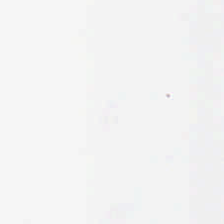Hematoxylin-and-eosin stained section.
Empty field — background (no tissue).
